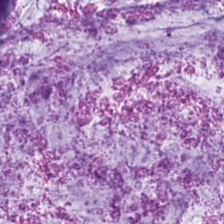H&E stain — Showing extracellular mucin.
